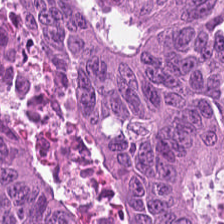WSI patch · H&E-stained tissue section. Showing colorectal adenocarcinoma epithelium.
